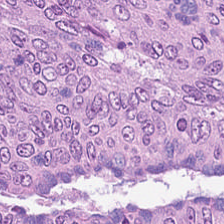H&E.
Q: What is the predominant tissue type?
A: The field shows colorectal adenocarcinoma.
